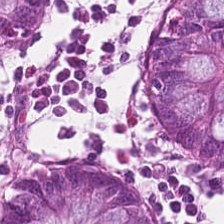Q: What does this patch show?
A: The field shows non-neoplastic colon mucosa.
